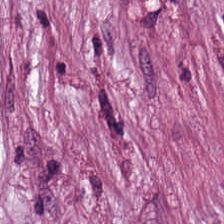H&E-stained tissue section. Formalin-fixed paraffin-embedded section. 0.5 microns per pixel — Cancer-associated stroma.
